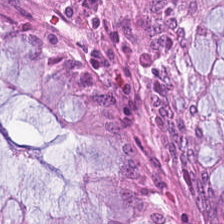Hematoxylin and eosin. Finding → benign colonic mucosa.
